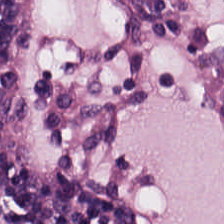This field is lymphocytic infiltrate.
